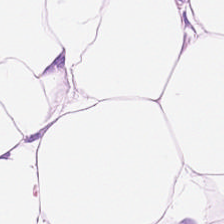Brightfield microscopy · H&E. Predominant tissue — fat tissue.
